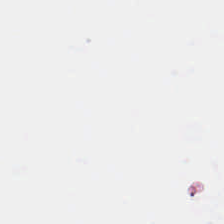H&E-stained tissue section. Background — no tissue in this field.
